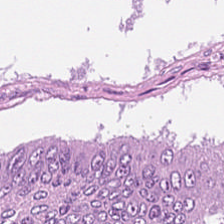H&E. Colorectal adenocarcinoma epithelium.
